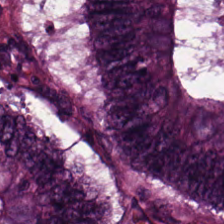Stain: hematoxylin and eosin.
Preparation: FFPE tissue section.
Acquisition: brightfield microscopy.
Classification: colorectal adenocarcinoma epithelium.
